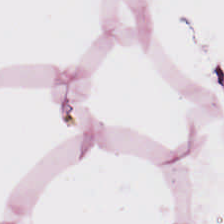Hematoxylin and eosin.
Q: Identify the tissue.
A: The field shows adipocytes.
